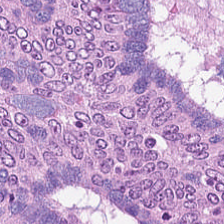{"tissue_type": "colorectal adenocarcinoma epithelium"}
